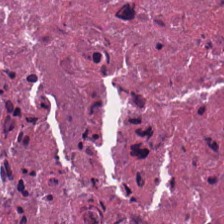Stain: hematoxylin-and-eosin stained section.
Preparation: formalin-fixed paraffin-embedded section.
Classification: debris.
